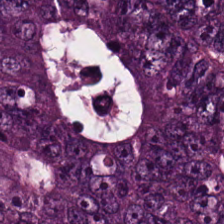H&E-stained tissue section — This patch shows adenocarcinoma.
